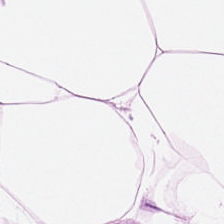H&E-stained tissue section. This patch shows fat tissue.
